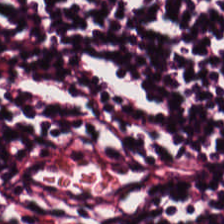H&E-stained tissue section; 0.5 µm per pixel; WSI patch — Predominantly lymphocytes.
